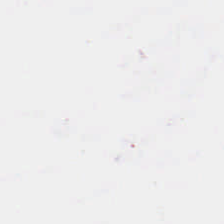H&E-stained tissue section · 224×224 px patch. Q: What is shown in this field?
A: This is no tissue.
